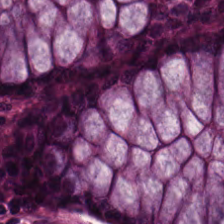Hematoxylin and eosin. 224×224 px tile. The tissue here is normal colon mucosa.
